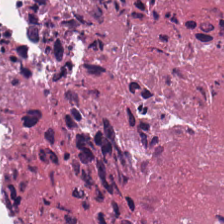Tissue class: necrotic debris.
